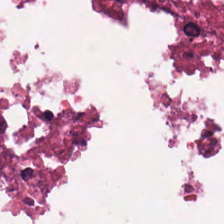Stain: H&E.
Classification: debris.
